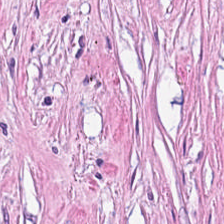H&E stain.
The classification is tumor-associated stroma.
